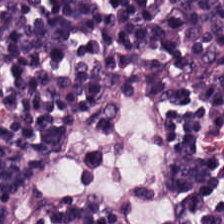Hematoxylin-and-eosin stained section. Predominant tissue: lymphocyte aggregate.
